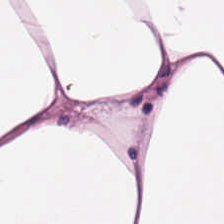Q: What is shown here?
A: It is fat tissue.
